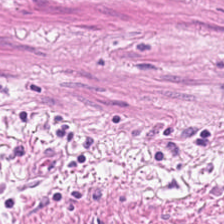H&E-stained tissue section. Classification — smooth-muscle tissue.
